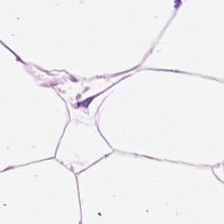H&E stain. Predominantly adipose.
